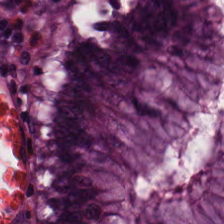The tissue class is non-neoplastic colon mucosa.
